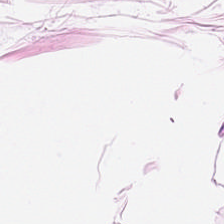H&E · formalin-fixed paraffin-embedded section · 0.5 µm/px.
The classification is adipose.
